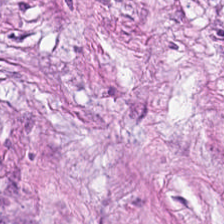Whole-slide-image patch. H&E stain.
Tissue type = tumor-associated stroma.
